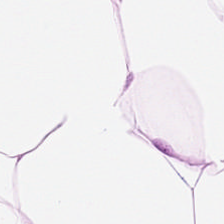0.5 µm per pixel · H&E stain — Q: What does this patch show?
A: The field shows fat tissue.
